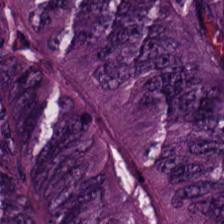Showing colorectal adenocarcinoma epithelium.
